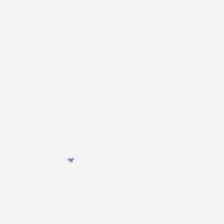Q: Classify this patch.
A: The field shows background.
